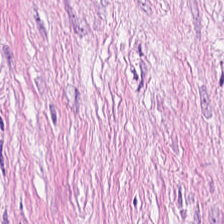224×224 px patch · FFPE · H&E-stained tissue section. This patch shows tumor stroma.
